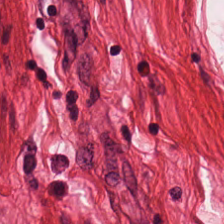Stain: H&E-stained tissue section.
Tissue class: muscularis.
